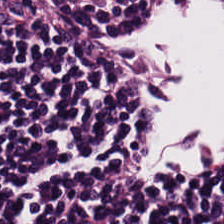Formalin-fixed paraffin-embedded section. H&E. 0.5 µm/px.
Tissue class = lymphocytes.
